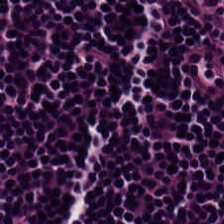Stain: H&E.
Tissue type: lymphocytic infiltrate.
